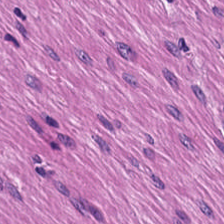Hematoxylin and eosin.
Impression → smooth-muscle tissue.
